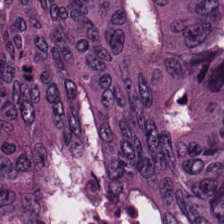Hematoxylin and eosin. FFPE tissue section. Q: What is the predominant tissue type?
A: This is malignant epithelium.
